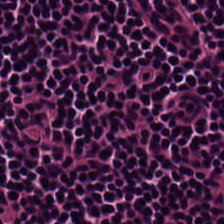20× equivalent magnification; H&E stain. This patch shows lymphocytic infiltrate.
